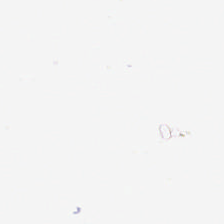The content is background.
